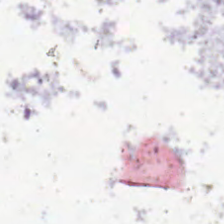No tissue present; background only.
